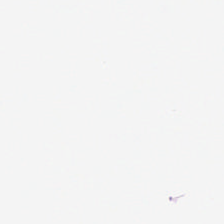Hematoxylin-and-eosin stained section · 0.5 microns per pixel · brightfield — {"content": "background (no tissue)"}
